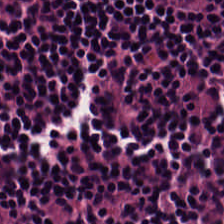Classification = lymphocytes.
